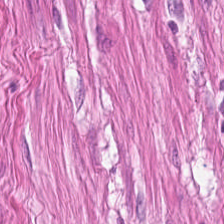Tissue class — smooth muscle.
